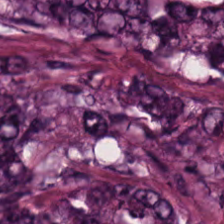Hematoxylin-and-eosin stained section. Tissue class: tumor epithelium.
